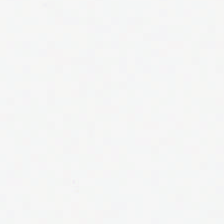224×224 px patch. Hematoxylin-and-eosin stained section — No tissue present; background only.
